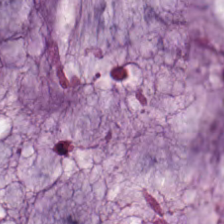H&E — Showing mucus.
